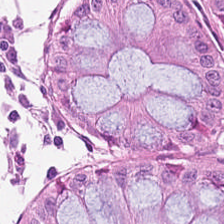H&E. 20× equivalent magnification — Histology → normal colonic mucosa.
